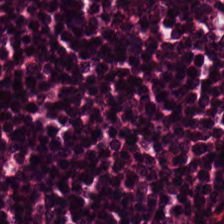This field is lymphocyte aggregate.
